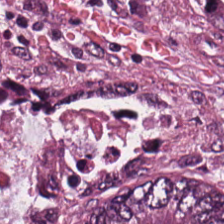224×224 px patch · H&E stain.
Impression → colorectal adenocarcinoma epithelium.
